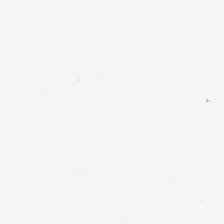0.5 microns per pixel · hematoxylin-and-eosin stained section. Q: Classify this patch.
A: This is no tissue.
